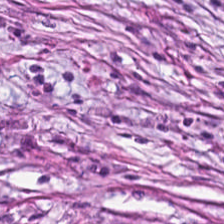FFPE; H&E stain. Finding → cancer-associated stroma.
